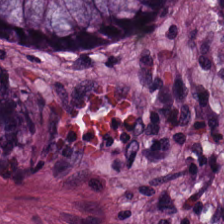H&E-stained tissue section.
The tissue here is normal colonic mucosa.
